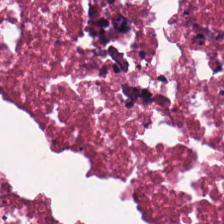H&E stain. Brightfield — Impression → debris.
